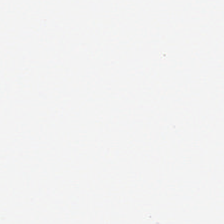Empty field — empty background.
